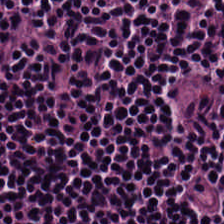H&E-stained tissue section; 224×224 px tile — Tissue — lymphocyte aggregate.
